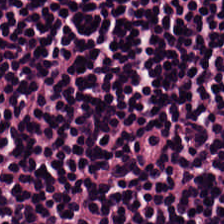Stain: H&E-stained tissue section.
Tissue type: lymphocytes.
